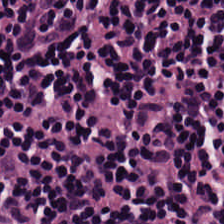0.5 microns per pixel. Brightfield. H&E-stained tissue section.
Showing lymphocytes.
